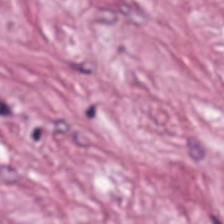H&E.
Predominantly desmoplastic stroma.
